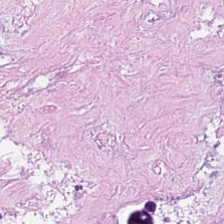H&E stain.
The predominant tissue is necrotic debris.
